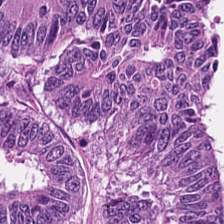H&E — Tissue type = colorectal adenocarcinoma.
